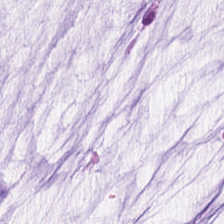H&E; WSI patch. Finding — extracellular mucin.
